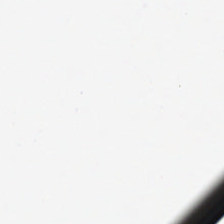Hematoxylin and eosin. Background.
